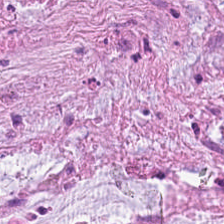H&E stain. Showing extracellular mucin.
